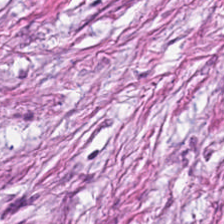H&E stain; 0.5 µm per pixel; brightfield microscopy — Classification = desmoplastic stroma.
